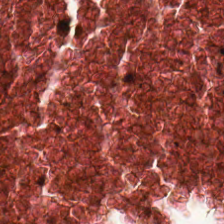H&E stain.
The predominant tissue is cellular debris.
